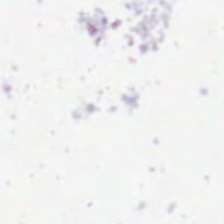Hematoxylin-and-eosin stained section; 224×224 pixel tile.
Background — no tissue in this field.
